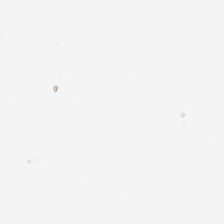Hematoxylin and eosin.
No tissue.
